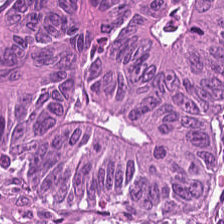Hematoxylin-and-eosin stained section · brightfield.
Tissue type: colorectal adenocarcinoma epithelium.
